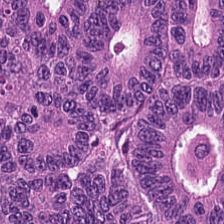224×224 px tile; hematoxylin and eosin; 0.5 microns per pixel.
Tissue class — tumor epithelium.
